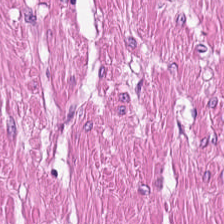The tissue type is smooth-muscle tissue.
